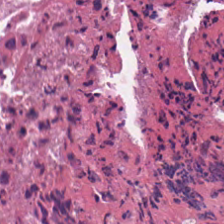Stain: H&E-stained tissue section.
Tissue class: necrotic debris.
